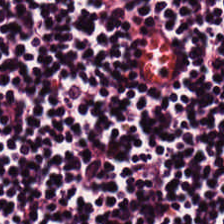H&E-stained tissue section showing lymphocytes.
